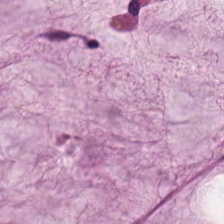H&E; brightfield microscopy — {"tissue_type": "mucus"}
